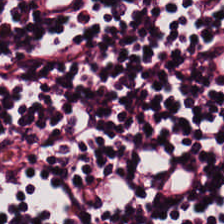H&E — lymphocytes.
